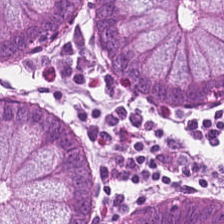Stain: H&E-stained tissue section.
Tissue type: benign colonic mucosa.
